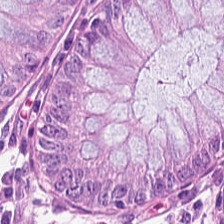H&E-stained tissue section · 224×224 px patch — Impression → normal colonic mucosa.
